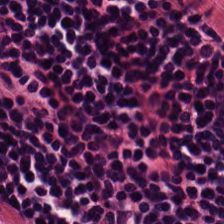Hematoxylin-and-eosin stained section.
This patch shows lymphoid infiltrate.
